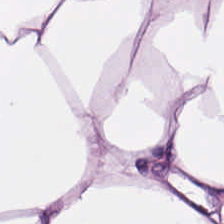224×224 pixel tile. Hematoxylin-and-eosin stained section.
Q: Classify this patch.
A: The field shows adipose tissue.
